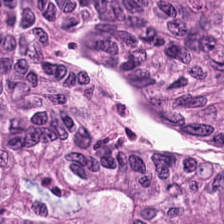Tissue — malignant epithelium.
